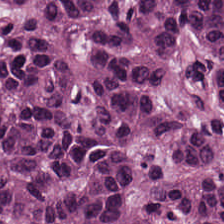Q: What is shown here?
A: It is malignant epithelium.
